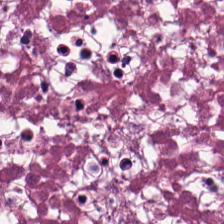Hematoxylin-and-eosin stained section · brightfield.
Predominant tissue = debris.
